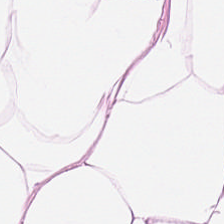H&E stain — {"tissue_type": "adipose"}
